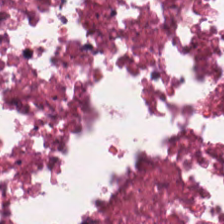H&E-stained section; the field shows necrotic debris.
